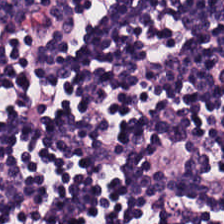Predominant tissue — lymphocyte aggregate.
